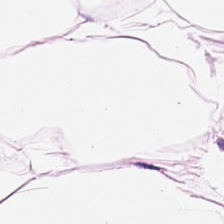H&E-stained tissue section; 224×224 px patch. This patch shows fat tissue.
